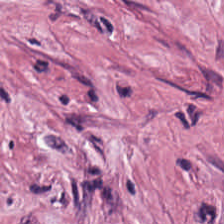{"tissue_type": "tumor stroma"}
